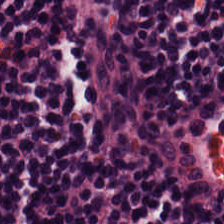Hematoxylin and eosin; brightfield microscopy; FFPE tissue section.
{"tissue_type": "lymphocytic infiltrate"}
